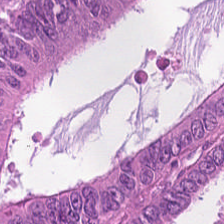0.5 microns per pixel; H&E; brightfield microscopy.
Q: What is shown in this field?
A: It is tumor epithelium.
